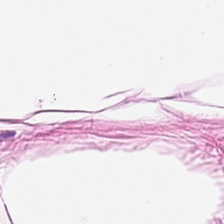Hematoxylin and eosin — Q: What is the predominant tissue type?
A: It is adipose tissue.
